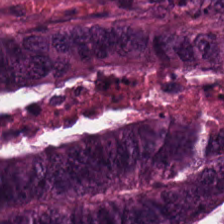H&E stain. 0.5 microns per pixel. The tissue here is colorectal adenocarcinoma.
